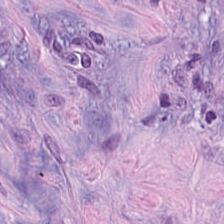Hematoxylin-and-eosin stained section · 224×224 px tile · FFPE — {"tissue_type": "cancer-associated stroma"}
